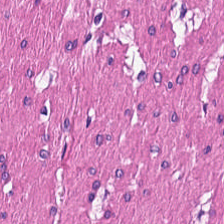Stain: hematoxylin and eosin.
Preparation: formalin-fixed paraffin-embedded section.
Classification: smooth-muscle tissue.
